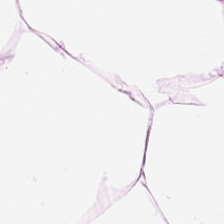224×224 px patch; H&E stain — Predominant tissue — fat tissue.
